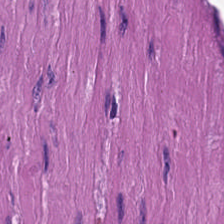Stain: H&E-stained tissue section.
Resolution: 20× equivalent magnification.
Acquisition: brightfield.
Tissue type: smooth muscle.
